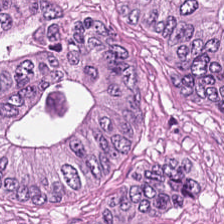The tissue is malignant epithelium.
